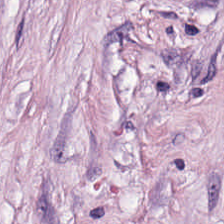H&E-stained tissue section; FFPE — Tissue type: cancer-associated stroma.
